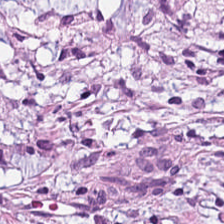Q: What tissue type is shown here?
A: The field shows cancer-associated stroma.
